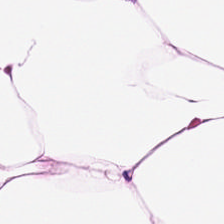Impression — adipocytes.
